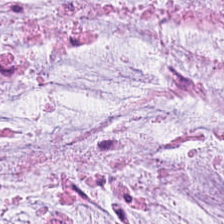H&E · 224×224 pixel tile — Tissue class — mucin.
